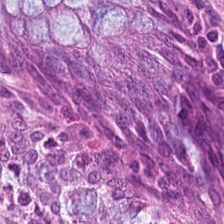Histology → normal colon mucosa.
